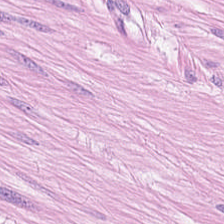Hematoxylin and eosin.
Finding → smooth-muscle tissue.
